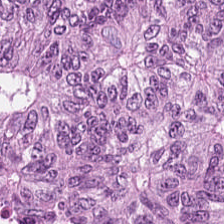Hematoxylin-and-eosin stained section; formalin-fixed paraffin-embedded section.
{"tissue_type": "colorectal adenocarcinoma"}
